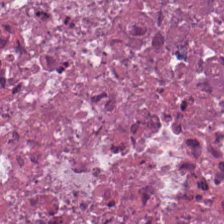H&E — cellular debris.
